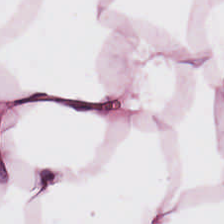FFPE tissue section. 0.5 µm/px. Hematoxylin-and-eosin stained section.
Adipocytes.
